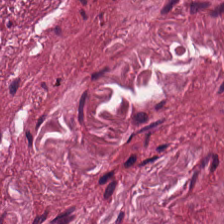Q: What type of tissue is this?
A: Desmoplastic stroma.
